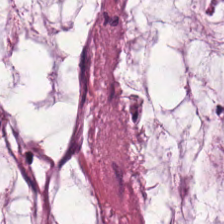H&E-stained tissue section.
Predominantly mucin.
